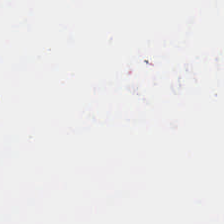Brightfield microscopy. Hematoxylin and eosin. The field content is empty background.
